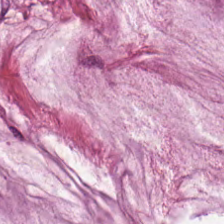Hematoxylin and eosin — Tissue type — mucus.
